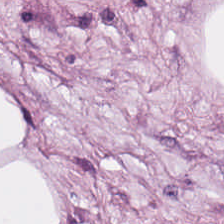The tissue here is adipocytes.
